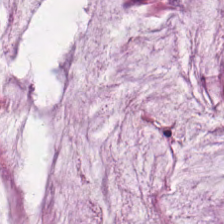H&E-stained tissue section. This patch shows mucin.
